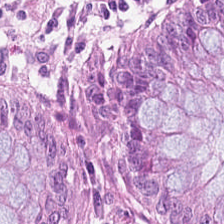Tissue: normal colonic mucosa.
